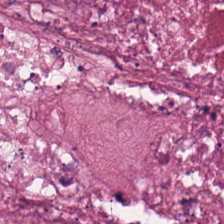0.5 µm/px. H&E. The tissue here is necrotic debris.
